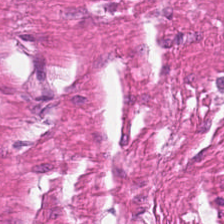Hematoxylin-and-eosin stained section.
Showing smooth-muscle tissue.
